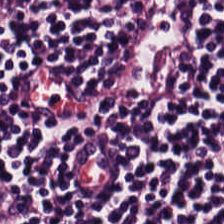Q: What is shown in this field?
A: Lymphocytic infiltrate.
